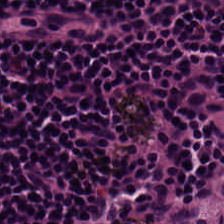H&E; 20× equivalent magnification. Predominantly lymphocytic infiltrate.
